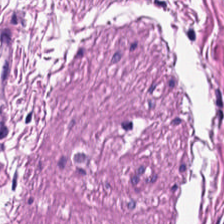H&E-stained tissue section showing smooth muscle.
